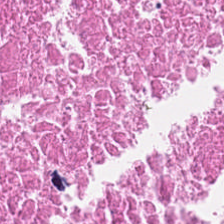Tissue type: cellular debris.
